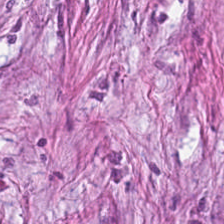Impression → tumor-associated stroma.
